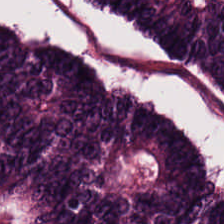H&E. Q: What is the predominant tissue type?
A: It is adenocarcinoma.
